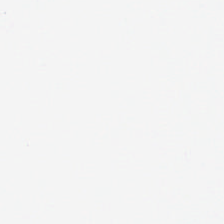H&E. 20× equivalent magnification. Impression → background (no tissue).
